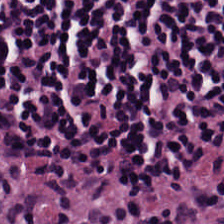H&E-stained tissue section. Q: What is the predominant tissue type?
A: Lymphocytes.
